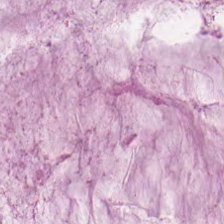H&E. Q: What is shown in this field?
A: Mucus.
